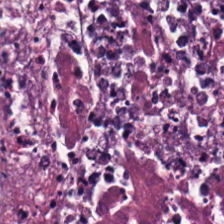0.5 µm/px; H&E — Tissue = cellular debris.
